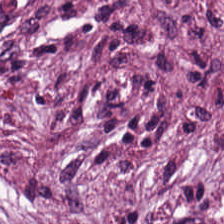Hematoxylin-and-eosin stained section. Q: Identify the tissue.
A: This is cancer-associated stroma.
